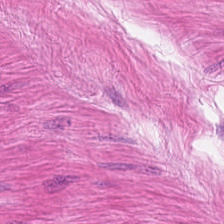H&E stain · 0.5 µm/px — The tissue type is smooth muscle.
